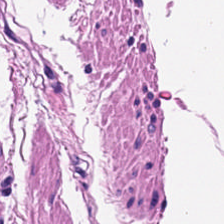Hematoxylin and eosin — Q: What is shown here?
A: It is muscularis.
